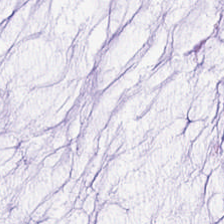Formalin-fixed paraffin-embedded section · hematoxylin-and-eosin stained section.
Finding → mucus.
